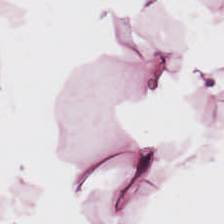{"tissue_type": "fat tissue"}
